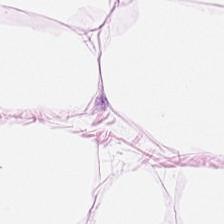H&E · FFPE tissue section. Predominantly fat tissue.
